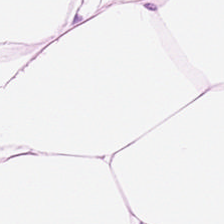H&E-stained tissue section — Predominant tissue: adipose.
